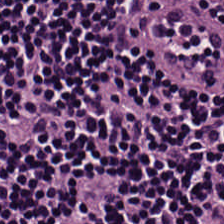Hematoxylin-and-eosin stained section — Lymphocytes.
